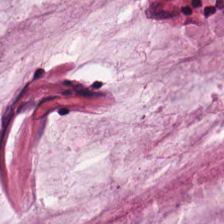20× equivalent magnification. H&E-stained tissue section. Tissue — extracellular mucin.
